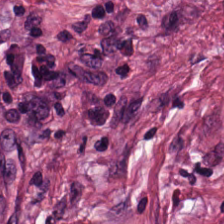Hematoxylin-and-eosin stained section · WSI patch · formalin-fixed paraffin-embedded section. Q: What tissue type is shown here?
A: This is tumor-associated stroma.
